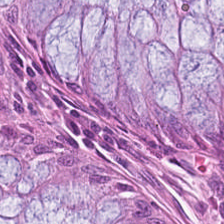H&E-stained tissue section — This field is normal colonic mucosa.
